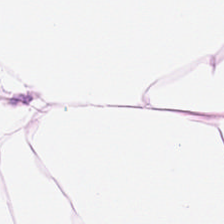Brightfield; H&E — Impression → adipose tissue.
